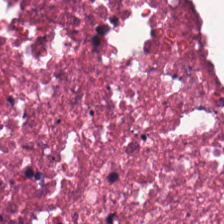H&E-stained tissue section — {"tissue_type": "necrotic debris"}
